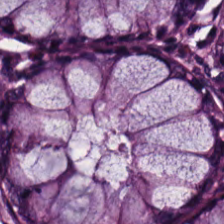Classification: normal colonic mucosa.
